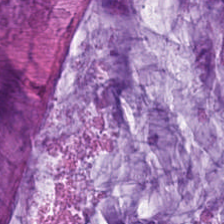Hematoxylin and eosin. Showing extracellular mucin.
